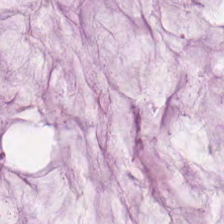Hematoxylin-and-eosin stained section. This patch shows mucus.
